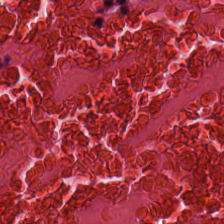H&E stain. 224×224 pixel tile. WSI patch.
Histology → cellular debris.
